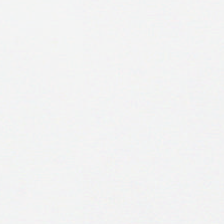This field is background (no tissue).
